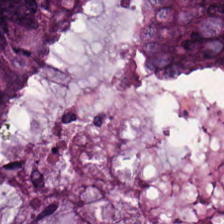Stain: H&E.
Classification: malignant epithelium.
